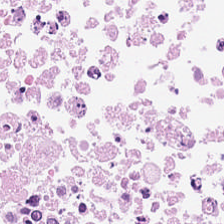Hematoxylin and eosin · formalin-fixed paraffin-embedded section — This patch shows necrotic debris.
